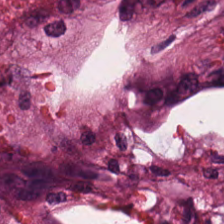Stain: hematoxylin-and-eosin stained section.
Classification: cellular debris.
